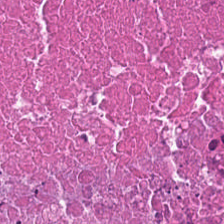Hematoxylin and eosin.
Showing debris.
